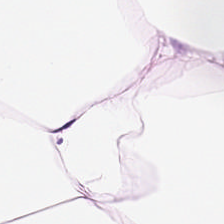The tissue type is adipose.
